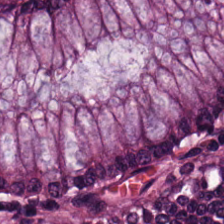224×224 px patch. FFPE. H&E-stained tissue section — The tissue class is non-neoplastic colon mucosa.
